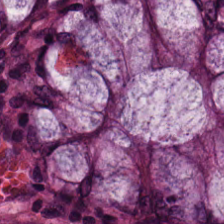H&E-stained tissue section showing non-neoplastic colon mucosa.
